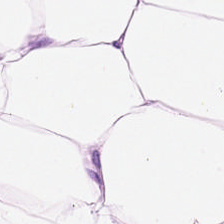H&E. Classification: adipose.
